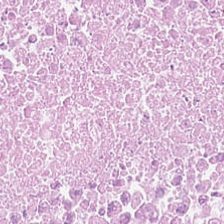H&E-stained tissue section — {"tissue_type": "cellular debris"}
